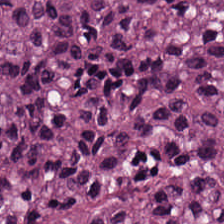Stain: hematoxylin and eosin.
Tissue class: colorectal adenocarcinoma.
